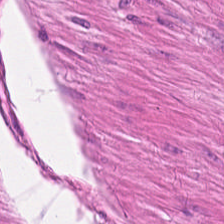H&E-stained tissue section — Predominantly muscularis.
